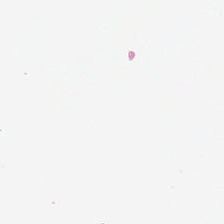H&E-stained tissue section — Background.
